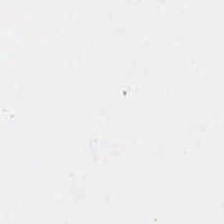224×224 px tile · 0.5 µm/px · H&E — Background — no tissue in this field.
